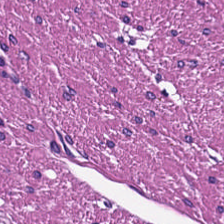Formalin-fixed paraffin-embedded section. Hematoxylin-and-eosin stained section.
{"tissue_type": "smooth muscle"}
